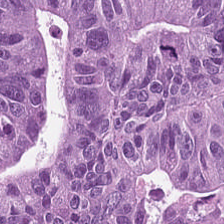20× equivalent magnification. H&E-stained tissue section. FFPE. This field is malignant epithelium.
